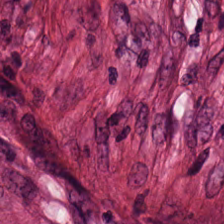H&E.
Finding — tumor-associated stroma.
